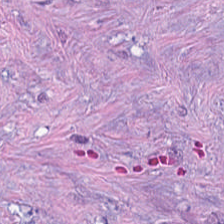Hematoxylin-and-eosin stained section. FFPE.
This field is tumor stroma.
